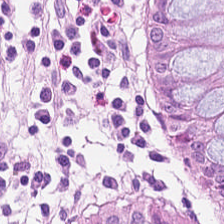Stain: hematoxylin and eosin.
Tissue: benign colonic mucosa.
